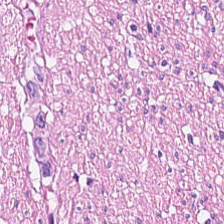H&E stain. 20× equivalent magnification.
This field is muscularis.
